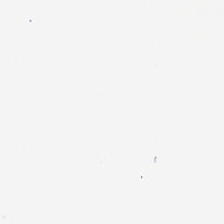Hematoxylin and eosin. 0.5 µm/px.
{"content": "background (no tissue)"}
